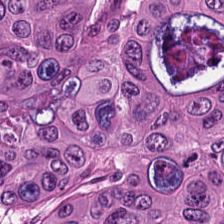H&E stain. The tissue here is tumor epithelium.
